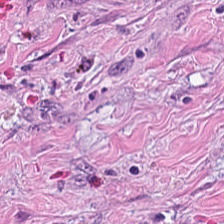H&E stain. FFPE. Brightfield microscopy — Q: What is shown here?
A: Tumor-associated stroma.
